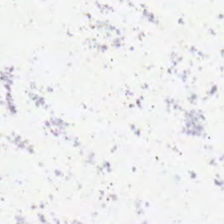Stain: H&E.
Resolution: 0.5 µm per pixel.
Acquisition: whole-slide-image patch.
Content: no tissue.
